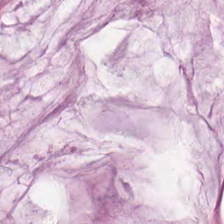Predominantly extracellular mucin.
